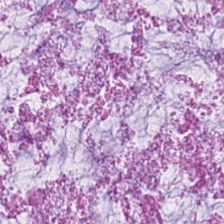Hematoxylin and eosin — Showing mucin.
